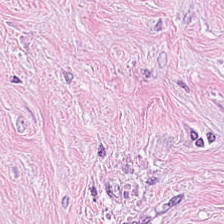H&E stain · 0.5 µm/px · WSI patch — Tissue class — tumor stroma.
